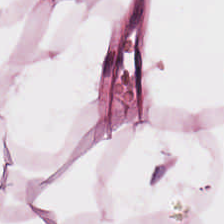224×224 px tile · H&E-stained tissue section — Q: What tissue is shown?
A: Adipose tissue.
